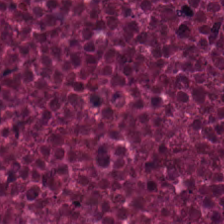Stain: hematoxylin and eosin.
Tissue type: debris.
